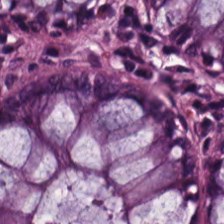0.5 µm per pixel · 224×224 pixel tile · hematoxylin-and-eosin stained section — Impression → normal colon mucosa.
